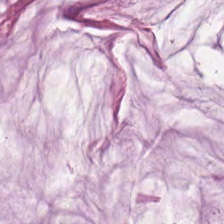H&E patch showing extracellular mucin.
